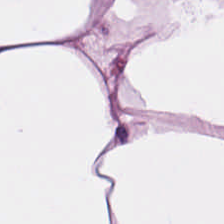H&E. 0.5 µm/px — Predominantly adipose.
